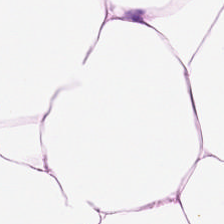Hematoxylin-and-eosin stained section — Histology → adipose tissue.
